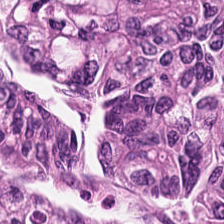Stain: H&E.
Preparation: FFPE tissue section.
Tissue class: tumor epithelium.
